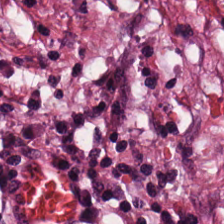224×224 px tile; H&E; WSI patch.
The tissue class is desmoplastic stroma.
